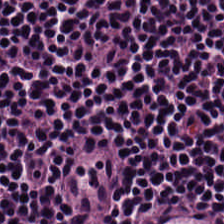H&E · 224×224 px patch · formalin-fixed paraffin-embedded section.
Tissue type: lymphocyte aggregate.
